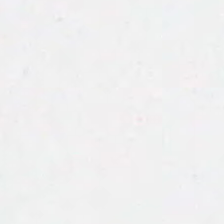H&E-stained tissue section; formalin-fixed paraffin-embedded section; 0.5 microns per pixel. Background.
